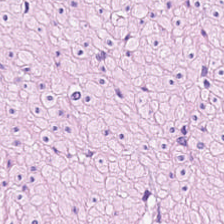This field is smooth-muscle tissue.
